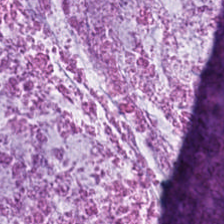H&E; 224×224 px patch. Predominantly mucin.
